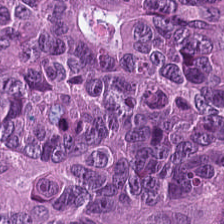0.5 µm per pixel; H&E; whole-slide-image patch — Histology — malignant epithelium.
